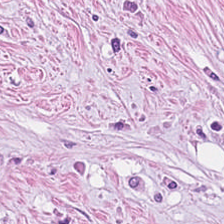H&E · brightfield microscopy.
Showing desmoplastic stroma.
